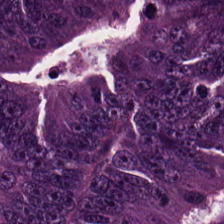H&E stain — Predominantly malignant epithelium.
